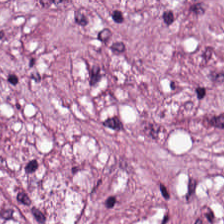Stain: H&E-stained tissue section.
Tissue: cancer-associated stroma.
